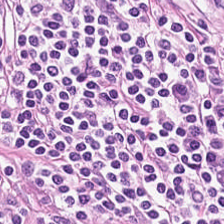224×224 pixel tile; H&E stain. Q: What tissue type is shown here?
A: The field shows lymphocyte aggregate.
